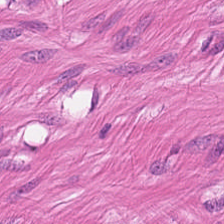Histology → smooth muscle.
